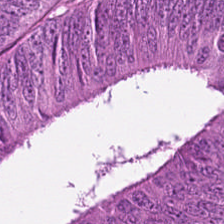Hematoxylin and eosin; WSI patch. Tissue type = malignant epithelium.
